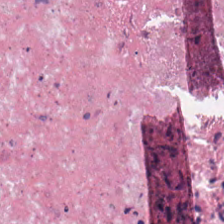Tissue class = debris.
